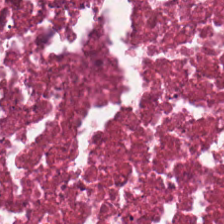Q: What is the predominant tissue type?
A: This is cellular debris.
